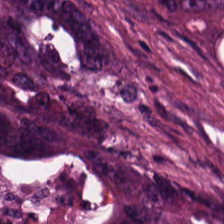Hematoxylin and eosin.
This field is colorectal adenocarcinoma.
